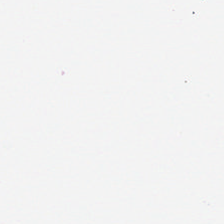H&E-stained tissue section — Empty field — no tissue.
